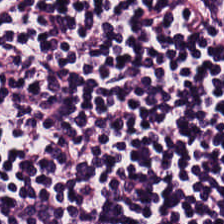Whole-slide-image patch · hematoxylin and eosin. Predominant tissue: lymphocyte aggregate.
